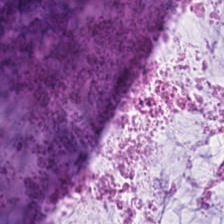Hematoxylin-and-eosin stained section.
Showing extracellular mucin.
